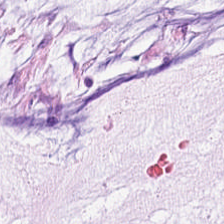H&E-stained tissue section.
Finding → mucus.
